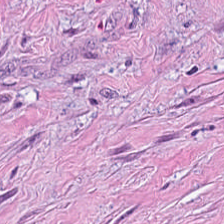Hematoxylin-and-eosin stained section. The tissue is desmoplastic stroma.
